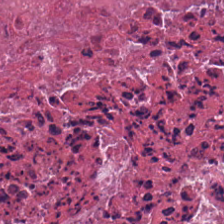Hematoxylin-and-eosin stained section. Debris.
